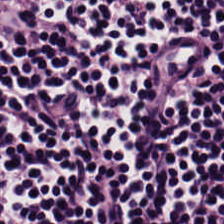H&E stain · 224×224 px tile · formalin-fixed paraffin-embedded section. Impression — lymphocytic infiltrate.
